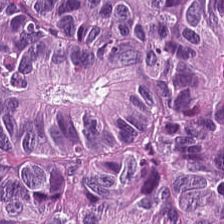H&E patch showing tumor epithelium.
